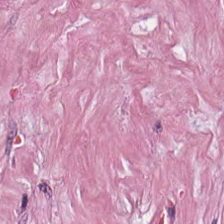Q: What tissue is shown?
A: This is tumor stroma.
